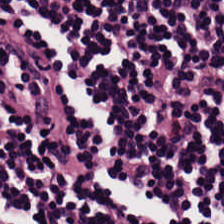Whole-slide-image patch; H&E-stained tissue section; 0.5 µm per pixel — Q: What does this patch show?
A: This is lymphocytes.
